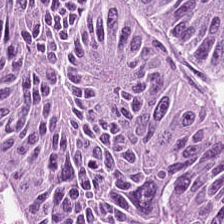Brightfield; H&E — Classification = adenocarcinoma.
